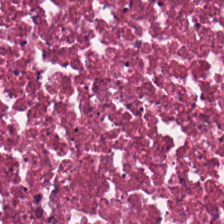Stain: H&E.
Tissue class: cellular debris.
